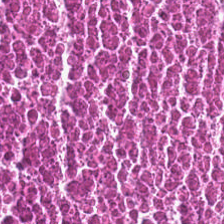Stain: hematoxylin and eosin.
Tissue type: necrotic debris.
